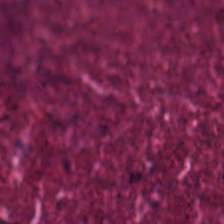Finding → necrotic debris.
